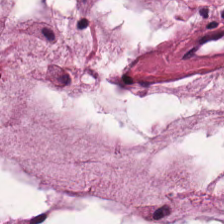H&E-stained tissue section · 0.5 µm/px — Histology — mucus.
